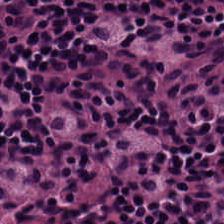H&E.
This patch shows lymphocyte aggregate.
